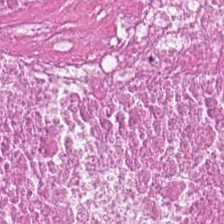Classification: debris.
